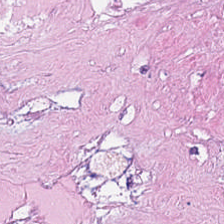H&E-stained tissue section. The predominant tissue is cellular debris.
